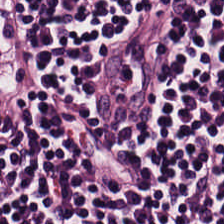224×224 pixel tile; 20× equivalent magnification; hematoxylin-and-eosin stained section — Predominantly lymphocyte aggregate.
